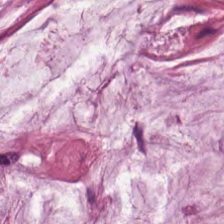Stain: hematoxylin-and-eosin stained section.
Tissue class: extracellular mucin.
